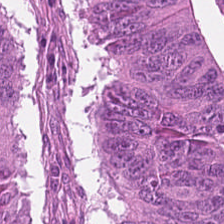H&E-stained tissue section — The predominant tissue is adenocarcinoma.
